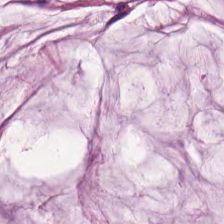H&E-stained tissue section · 224×224 pixel tile. The tissue here is extracellular mucin.
